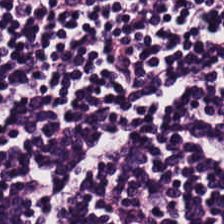Hematoxylin-and-eosin stained section.
Classification = lymphocytes.
